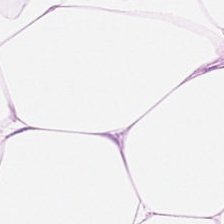Impression → adipose tissue.
